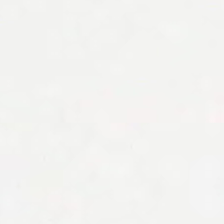Hematoxylin-and-eosin stained section. No tissue.
